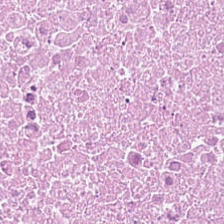H&E. Formalin-fixed paraffin-embedded section. Whole-slide-image patch — The tissue here is necrotic debris.
